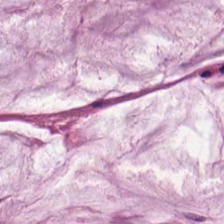Hematoxylin-and-eosin stained section · 224×224 pixel tile · brightfield.
Classification = mucus.
